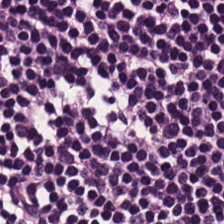Hematoxylin and eosin.
The predominant tissue is lymphocyte aggregate.
